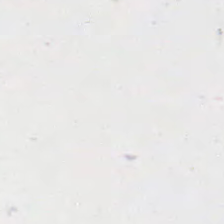H&E-stained tissue section. 20× equivalent magnification — Q: Classify this patch.
A: This is background.
